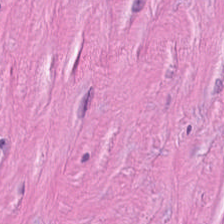Hematoxylin and eosin — Predominant tissue — tumor-associated stroma.
